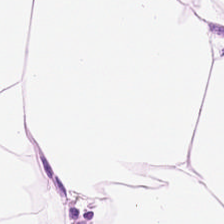Hematoxylin-and-eosin stained section.
Impression — fat tissue.
